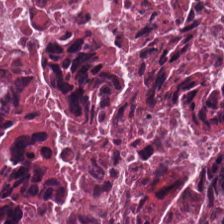0.5 microns per pixel; H&E; brightfield microscopy.
Q: What type of tissue is this?
A: This is necrotic debris.
